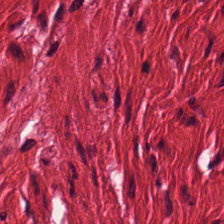H&E stain — The tissue here is smooth muscle.
